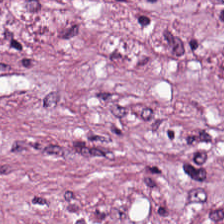Hematoxylin-and-eosin stained section. 224×224 pixel tile — Q: What type of tissue is this?
A: This is tumor stroma.
